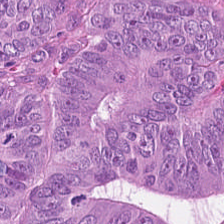Q: What type of tissue is this?
A: The field shows colorectal adenocarcinoma epithelium.
